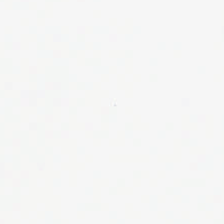Q: What does this patch show?
A: Background (no tissue).
